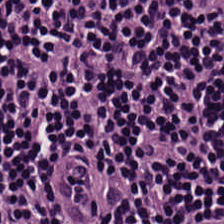Hematoxylin and eosin.
The tissue here is lymphoid infiltrate.
